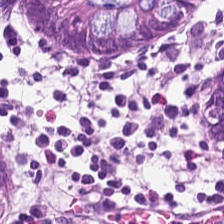H&E stain.
Impression — non-neoplastic colon mucosa.
